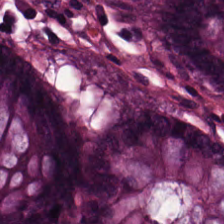Q: What type of tissue is this?
A: It is benign colonic mucosa.
